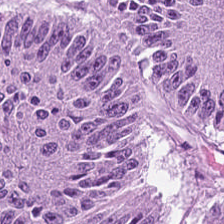224×224 px tile. H&E stain. WSI patch. The tissue here is malignant epithelium.
